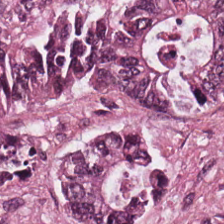Stain: hematoxylin and eosin.
Tissue type: adenocarcinoma.
